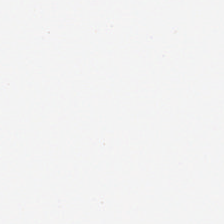H&E-stained tissue section — Empty background.
